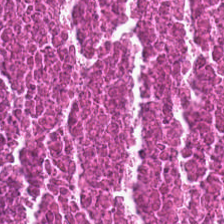H&E stain.
The tissue here is debris.
